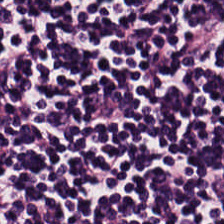H&E-stained tissue section · 224×224 pixel tile — The tissue here is lymphocyte aggregate.
